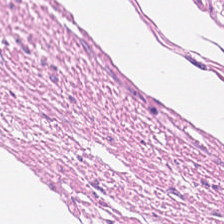H&E stain; whole-slide-image patch. The predominant tissue is muscularis.
